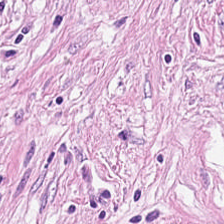H&E stain. The predominant tissue is tumor-associated stroma.
